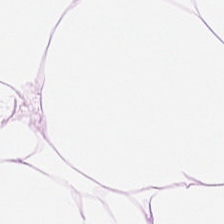Q: What is shown in this field?
A: Fat tissue.
